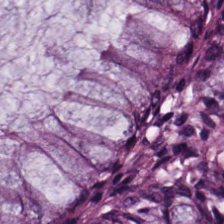H&E.
Histology → benign colonic mucosa.
